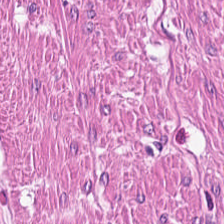Q: What is the predominant tissue type?
A: It is muscularis.
